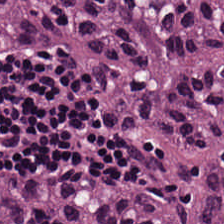H&E stain · 0.5 microns per pixel — This patch shows colorectal adenocarcinoma epithelium.
